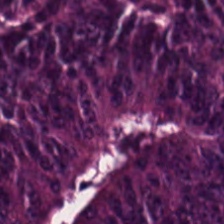H&E stain. Malignant epithelium.
